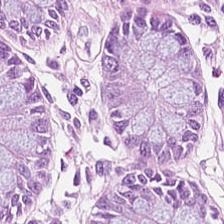{"tissue_type": "benign colonic mucosa"}
